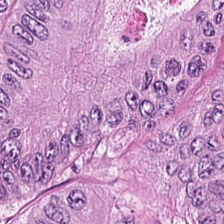H&E stain — Predominant tissue = malignant epithelium.
